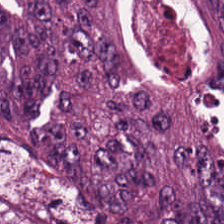224×224 px patch. 0.5 µm/px. H&E.
This field is colorectal adenocarcinoma epithelium.
